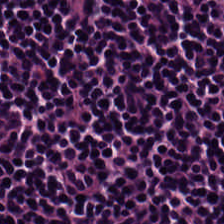Lymphoid infiltrate.
